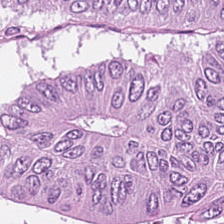Hematoxylin-and-eosin stained section. Q: What is shown in this field?
A: This is malignant epithelium.
